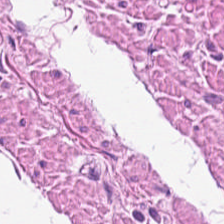H&E stain.
Tissue = muscularis.
